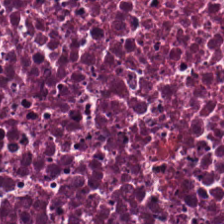Hematoxylin-and-eosin stained section. 224×224 pixel tile. 0.5 microns per pixel.
Tissue: necrotic debris.
